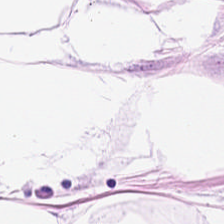H&E stain.
Tissue class: adipose tissue.
